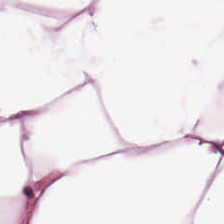H&E; 0.5 µm per pixel.
Q: What does this patch show?
A: Adipose tissue.
